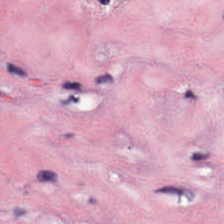Hematoxylin-and-eosin stained section. Tissue — tumor-associated stroma.
